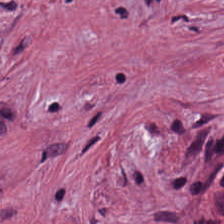Stain: H&E stain.
Resolution: 20× equivalent magnification.
Classification: tumor stroma.
